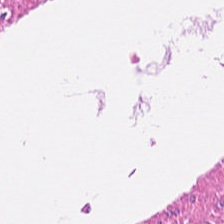H&E-stained tissue section. Smooth muscle.
